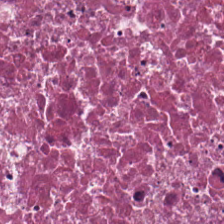H&E-stained tissue section · 224×224 px tile — Tissue type: debris.
